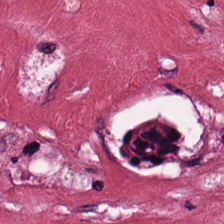H&E-stained tissue section; 0.5 µm per pixel. Q: What tissue type is shown here?
A: Desmoplastic stroma.
